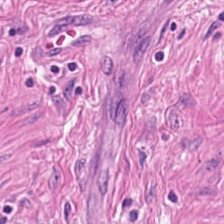Hematoxylin and eosin.
This field is muscularis.
